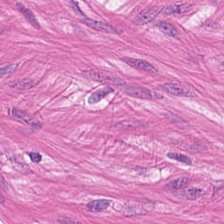H&E — {"tissue_type": "smooth-muscle tissue"}
